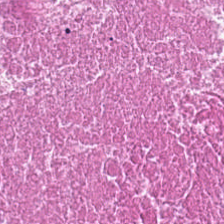0.5 microns per pixel. Hematoxylin and eosin — Q: What tissue type is shown here?
A: Cellular debris.
